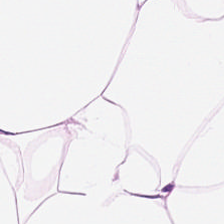Stain: H&E-stained tissue section.
Classification: adipose tissue.
